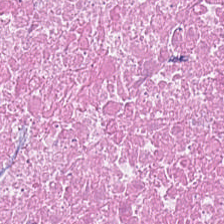Hematoxylin-and-eosin stained section. 224×224 px patch — Showing necrotic debris.
